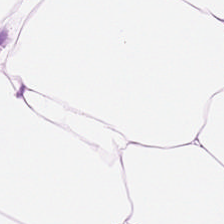H&E. Impression → adipose.
